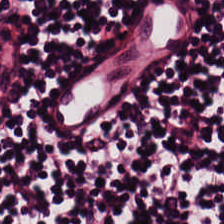The classification is lymphocytic infiltrate.
